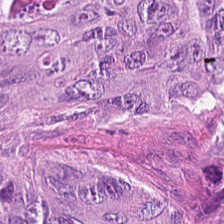H&E-stained tissue section showing tumor epithelium.
